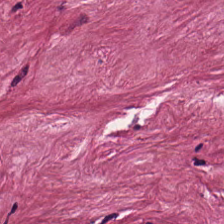H&E — Q: What does this patch show?
A: Desmoplastic stroma.
